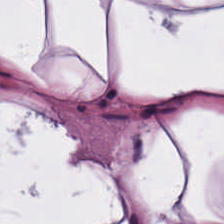Stain: H&E.
Tissue type: adipocytes.
